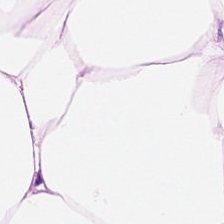H&E stain. Adipose.
